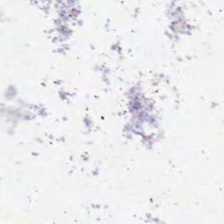The field content is empty background.
